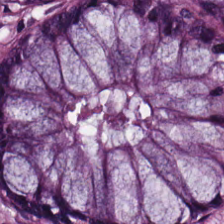H&E · 224×224 pixel tile. The tissue here is normal colonic mucosa.
